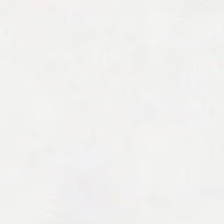H&E stain. The content is empty background.
